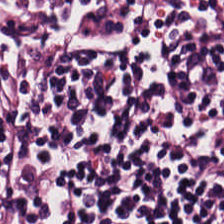H&E-stained tissue section — Predominantly lymphocytes.
